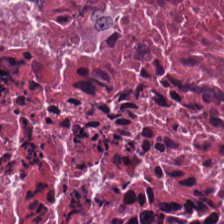H&E-stained tissue section.
{"tissue_type": "cellular debris"}
